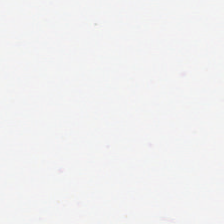Stain: H&E.
Content: background.
